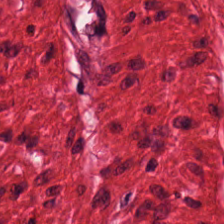H&E. 224×224 pixel tile — {"tissue_type": "muscularis"}
